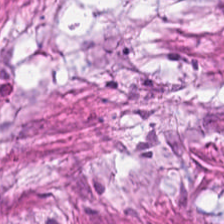H&E — tumor-associated stroma.
